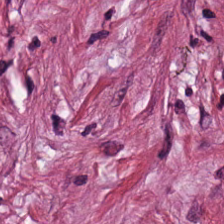224×224 px tile; hematoxylin and eosin; brightfield microscopy — Q: What is the predominant tissue type?
A: Desmoplastic stroma.
